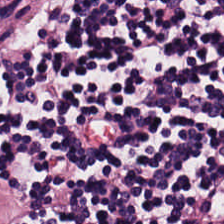Hematoxylin-and-eosin stained section; WSI patch; 20× equivalent magnification.
Impression → lymphoid infiltrate.
